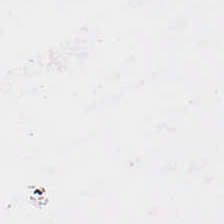H&E-stained tissue section. Impression → background.
